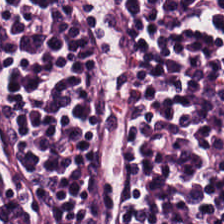H&E.
{"tissue_type": "lymphocytic infiltrate"}
